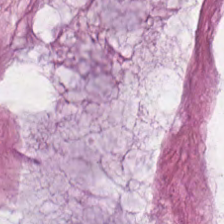Hematoxylin and eosin; formalin-fixed paraffin-embedded section; 224×224 px tile — {"tissue_type": "extracellular mucin"}
